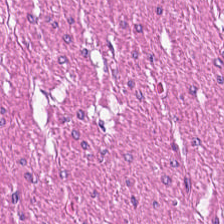FFPE tissue section. Hematoxylin and eosin. 0.5 µm per pixel. The classification is smooth muscle.
